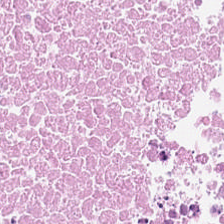H&E — Tissue type — debris.
